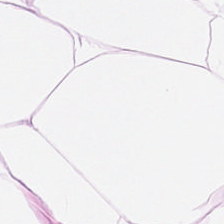FFPE tissue section · hematoxylin and eosin.
Q: What tissue is shown?
A: Adipocytes.
